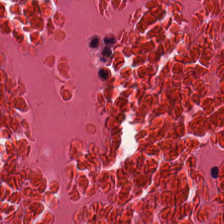H&E stain. Histology — necrotic debris.
